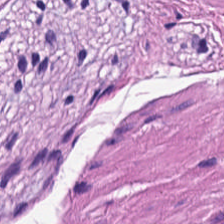H&E — Predominantly smooth muscle.
